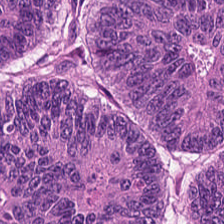224×224 px patch · hematoxylin and eosin.
The tissue here is colorectal adenocarcinoma.
